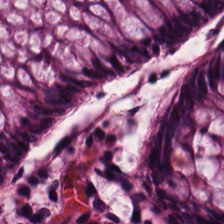0.5 µm per pixel · H&E-stained tissue section.
Predominantly benign colonic mucosa.
